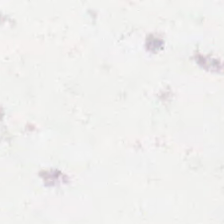Hematoxylin and eosin. Brightfield microscopy — Q: What does this patch show?
A: It is background.
